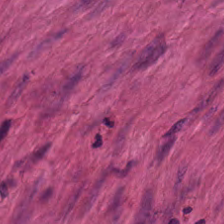Hematoxylin and eosin. 224×224 px tile — This field is muscularis.
